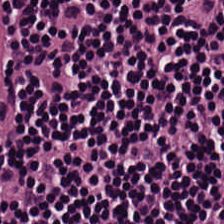H&E. 0.5 µm/px — The predominant tissue is lymphocytes.
